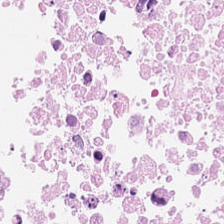Hematoxylin and eosin. Q: What tissue type is shown here?
A: The field shows debris.
